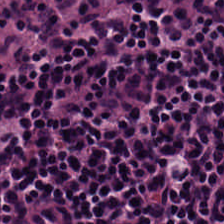Stain: hematoxylin-and-eosin stained section.
Predominant tissue: lymphocyte aggregate.
